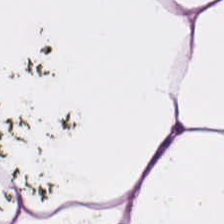Stain: hematoxylin and eosin.
Acquisition: brightfield.
Predominant tissue: adipocytes.
